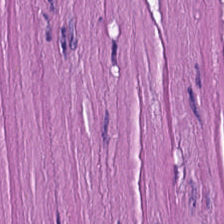Formalin-fixed paraffin-embedded section · H&E. Q: What is shown in this field?
A: It is smooth-muscle tissue.
